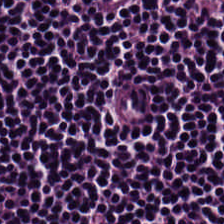Formalin-fixed paraffin-embedded section; 0.5 µm/px; hematoxylin-and-eosin stained section. Lymphocytes.
